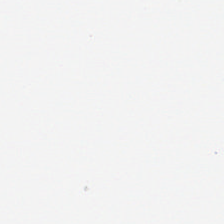FFPE. Hematoxylin and eosin — Q: What is shown here?
A: The field shows background (no tissue).
